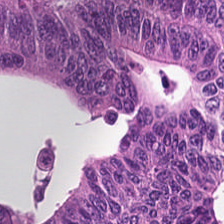H&E-stained tissue section; 224×224 px tile; formalin-fixed paraffin-embedded section — This field is colorectal adenocarcinoma.
